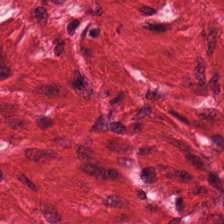Classification: muscularis.
